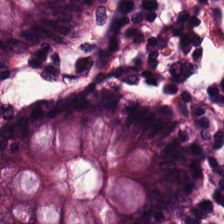H&E-stained tissue section.
Classification: non-neoplastic colon mucosa.
